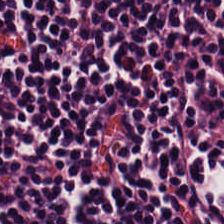Stain: hematoxylin and eosin.
Tissue class: lymphoid infiltrate.
